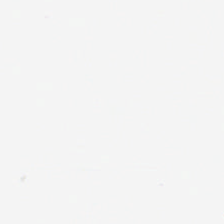Finding — background.
